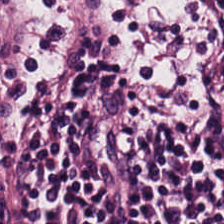H&E stain. Brightfield microscopy. Finding — lymphocytic infiltrate.
